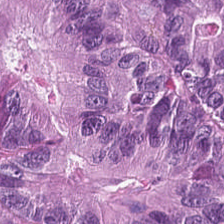Stain: H&E stain.
Acquisition: whole-slide-image patch.
Predominant tissue: adenocarcinoma.
